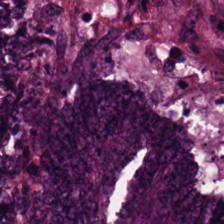Q: What is shown here?
A: The field shows malignant epithelium.
